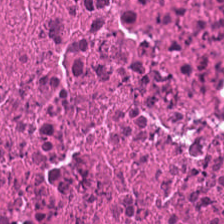Hematoxylin-and-eosin stained section. The tissue type is necrotic debris.
